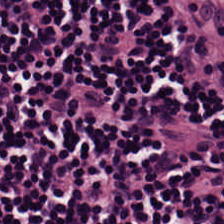H&E — Finding → lymphoid infiltrate.
